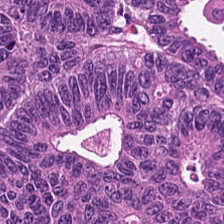Hematoxylin and eosin. This patch shows malignant epithelium.
